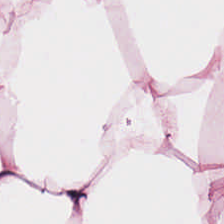H&E-stained section; the field shows fat tissue.
